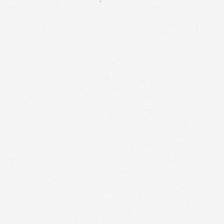H&E stain; FFPE tissue section. Q: Classify this patch.
A: Empty background.
